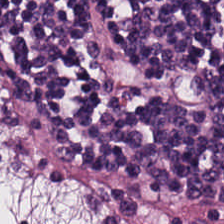H&E-stained tissue section. {"tissue_type": "lymphoid infiltrate"}
